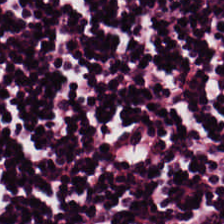Classification: lymphoid infiltrate.
